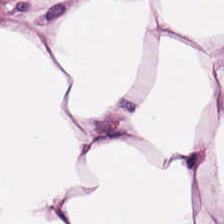H&E stain — Q: What does this patch show?
A: It is adipocytes.
